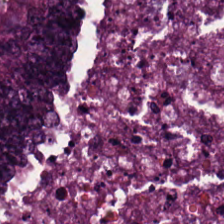Stain: H&E stain.
Tissue type: colorectal adenocarcinoma epithelium.
